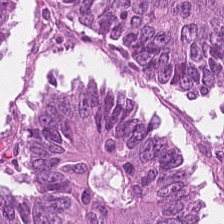Hematoxylin and eosin. Q: Identify the tissue.
A: It is adenocarcinoma.
